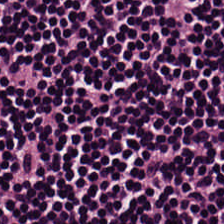Hematoxylin-and-eosin stained section — The tissue is lymphocytic infiltrate.
